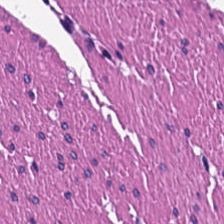Hematoxylin-and-eosin stained section · formalin-fixed paraffin-embedded section · brightfield microscopy. Q: What is shown in this field?
A: The field shows muscularis.
